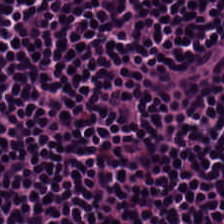H&E stain. Predominant tissue — lymphocyte aggregate.
